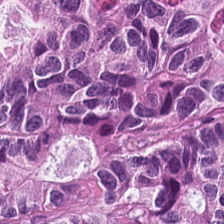Q: What does this patch show?
A: The field shows adenocarcinoma.
